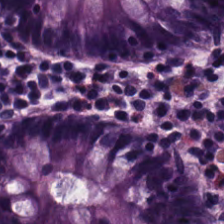Predominantly normal colonic mucosa.
